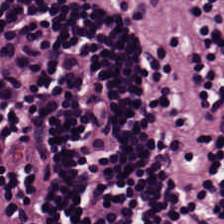FFPE · hematoxylin-and-eosin stained section. Classification: lymphocytes.
